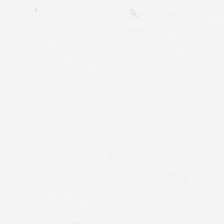H&E-stained tissue section · FFPE · WSI patch.
Empty background.
